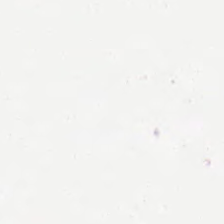H&E-stained tissue section. Q: What is shown in this field?
A: Background (no tissue).
